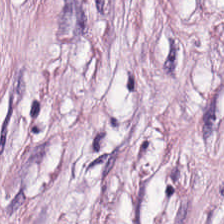0.5 µm per pixel · hematoxylin-and-eosin stained section · 224×224 pixel tile.
Q: Classify this patch.
A: Tumor-associated stroma.
